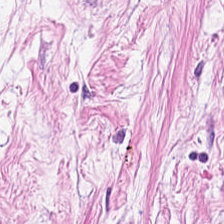H&E stain.
Q: What tissue is shown?
A: This is cancer-associated stroma.
